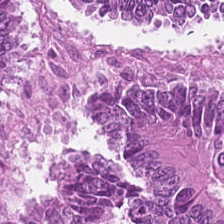Stain: H&E stain.
Classification: malignant epithelium.
